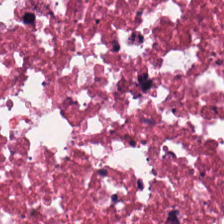Hematoxylin-and-eosin stained section. This field is debris.
